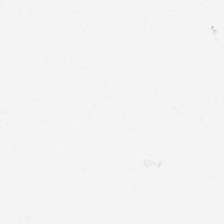Stain: H&E stain.
Content: background.
